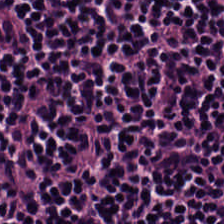H&E-stained tissue section · FFPE tissue section. {"tissue_type": "lymphocytes"}
